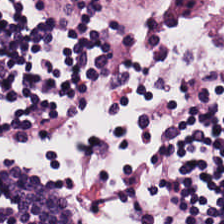Hematoxylin-and-eosin stained section — The predominant tissue is lymphoid infiltrate.
